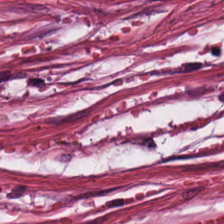Stain: hematoxylin-and-eosin stained section.
Predominant tissue: tumor stroma.
